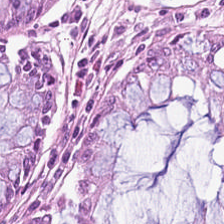H&E-stained tissue section; 0.5 µm per pixel. Q: What tissue type is shown here?
A: It is normal colonic mucosa.
